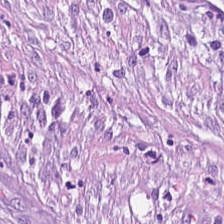Stain: hematoxylin and eosin.
Tissue class: tumor stroma.
